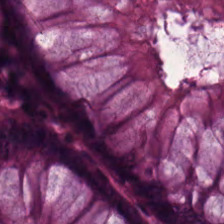H&E stain. This patch shows normal colonic mucosa.
